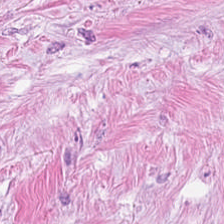This patch shows tumor stroma.
